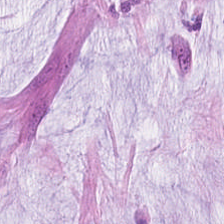Hematoxylin-and-eosin stained section.
{"tissue_type": "mucus"}
